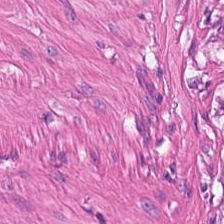Brightfield microscopy. FFPE. H&E-stained tissue section.
The tissue class is smooth muscle.
